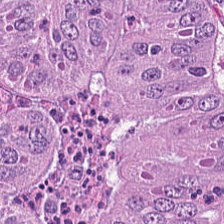H&E-stained tissue section showing malignant epithelium.
